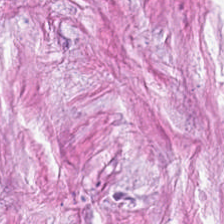H&E-stained section; the field shows cancer-associated stroma.
